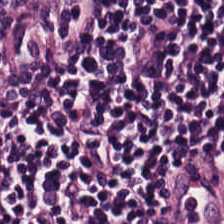Hematoxylin-and-eosin section: lymphocyte aggregate.
